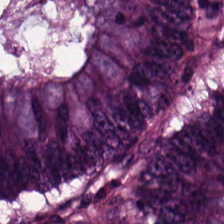Stain: H&E-stained tissue section.
Acquisition: whole-slide-image patch.
Tissue class: adenocarcinoma.
